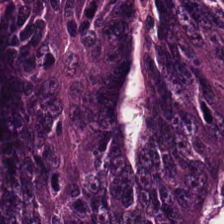H&E-stained tissue section.
This field is tumor epithelium.
